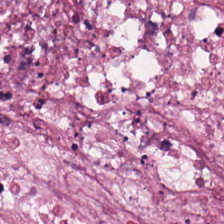FFPE. Hematoxylin-and-eosin stained section. Predominantly cellular debris.
